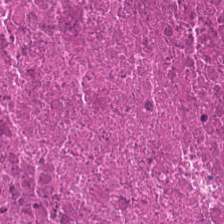H&E stain. Histology → debris.
